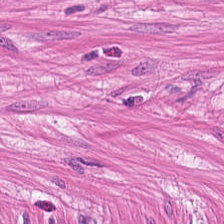224×224 px patch. H&E-stained tissue section. 0.5 µm per pixel — {"tissue_type": "muscularis"}
